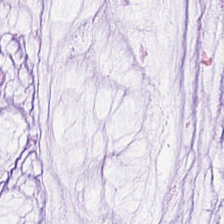FFPE · H&E stain — Histology — mucin.
